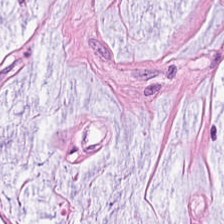H&E stain.
{"tissue_type": "mucus"}
